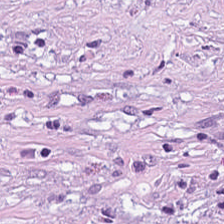H&E — The predominant tissue is tumor-associated stroma.
